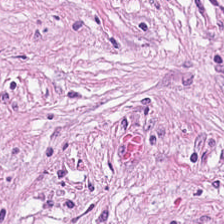Hematoxylin-and-eosin stained section · FFPE tissue section. Showing desmoplastic stroma.
